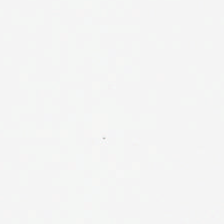224×224 px tile; hematoxylin-and-eosin stained section.
Field content = no tissue.
